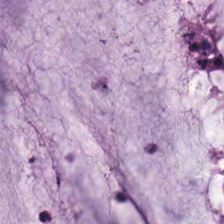H&E-stained tissue section. FFPE — Impression → mucus.
